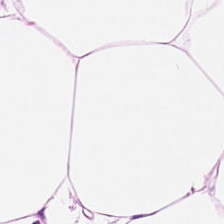H&E — Q: Identify the tissue.
A: The field shows adipose tissue.
